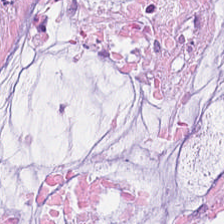Hematoxylin and eosin. The predominant tissue is mucin.
